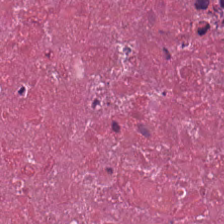H&E. Finding — necrotic debris.
